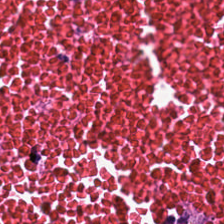The predominant tissue is necrotic debris.
